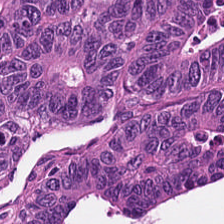H&E. Classification: tumor epithelium.
